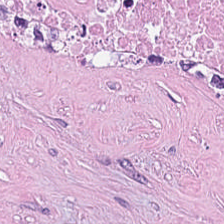H&E-stained tissue section. Impression — necrotic debris.
